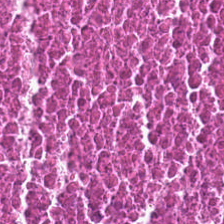Whole-slide-image patch. Hematoxylin and eosin. FFPE tissue section — {"tissue_type": "necrotic debris"}
